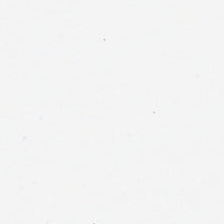Hematoxylin and eosin — Field content = background.
